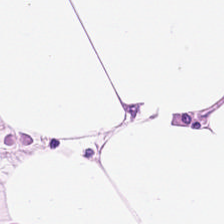Brightfield; H&E.
Adipose.
